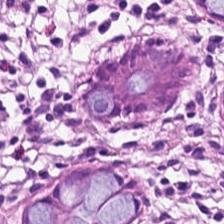Q: What tissue is shown?
A: Non-neoplastic colon mucosa.
